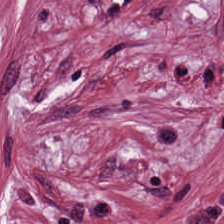FFPE · hematoxylin and eosin. Tissue class: tumor stroma.
